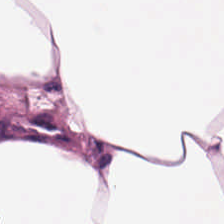H&E-stained tissue section.
Classification: fat tissue.
